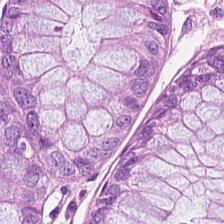Stain: H&E stain.
Tissue type: benign colonic mucosa.
